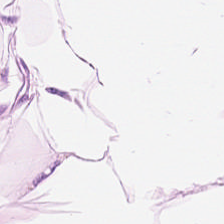Tissue class = adipose.
